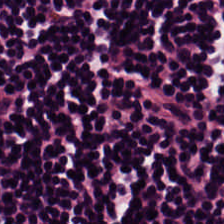FFPE; H&E. The tissue here is lymphoid infiltrate.
